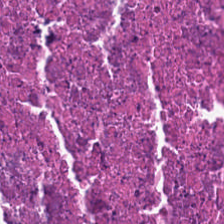H&E-stained tissue section. Brightfield — Impression → necrotic debris.
